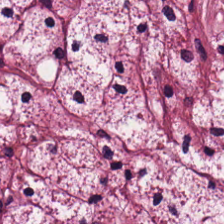Hematoxylin-and-eosin stained section · 0.5 µm/px · brightfield microscopy — Showing tumor-associated stroma.
